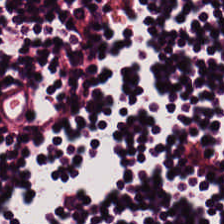H&E-stained tissue section · formalin-fixed paraffin-embedded section.
{"tissue_type": "lymphocyte aggregate"}
